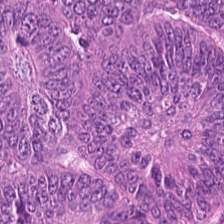H&E-stained tissue section.
{"tissue_type": "colorectal adenocarcinoma"}
